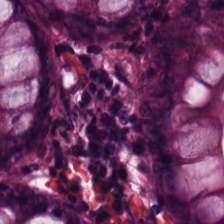H&E stain. FFPE. Tissue class — non-neoplastic colon mucosa.
